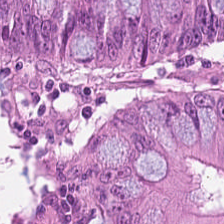Tissue type = colorectal adenocarcinoma epithelium.
